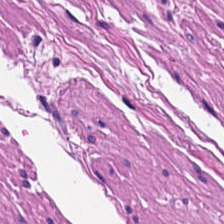The tissue here is smooth muscle.
